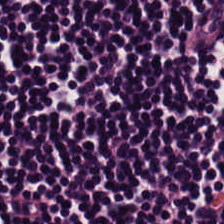Q: What tissue is shown?
A: The field shows lymphoid infiltrate.
